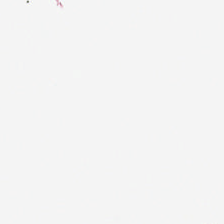Empty background.
